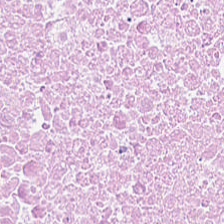H&E-stained tissue section. 20× equivalent magnification — The tissue here is cellular debris.
